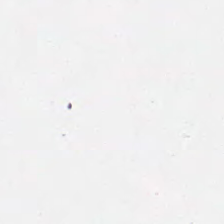224×224 px patch. H&E-stained tissue section. 0.5 microns per pixel — Q: What is shown here?
A: The field shows background.
